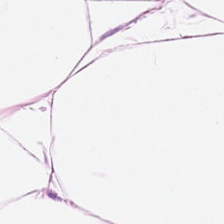Finding → adipose.
